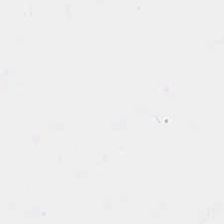Impression — background.
